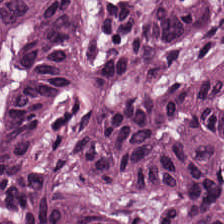224×224 px patch. Formalin-fixed paraffin-embedded section. Hematoxylin and eosin.
The classification is adenocarcinoma.
